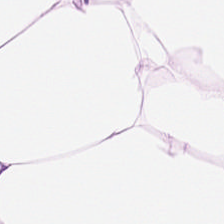FFPE tissue section; H&E-stained tissue section; brightfield.
Q: Classify this patch.
A: This is fat tissue.
